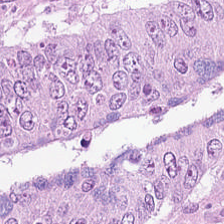20× equivalent magnification · hematoxylin-and-eosin stained section — Showing colorectal adenocarcinoma epithelium.
